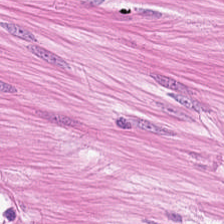Q: What tissue type is shown here?
A: This is smooth muscle.
